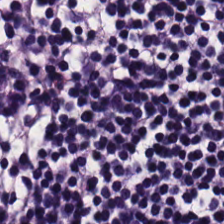Stain: H&E-stained tissue section.
Tile size: 224×224 px patch.
Resolution: 20× equivalent magnification.
Tissue class: lymphoid infiltrate.
